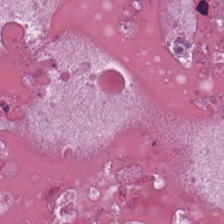Impression → necrotic debris.
